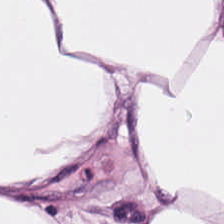Tissue class: fat tissue.
